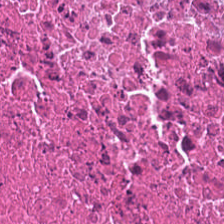Hematoxylin-and-eosin stained section. Tissue = necrotic debris.
